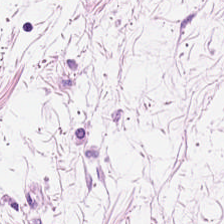H&E stain.
Tissue class — adipocytes.
